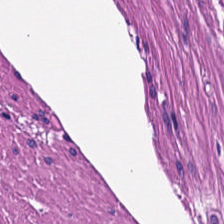20× equivalent magnification. Hematoxylin-and-eosin stained section.
The classification is muscularis.
